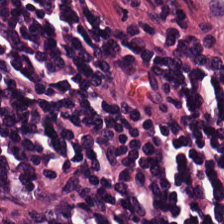Hematoxylin-and-eosin stained section · brightfield — Predominantly lymphocytes.
